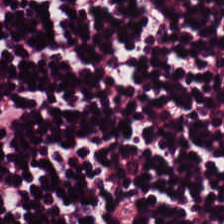H&E · brightfield microscopy.
Lymphocyte aggregate.
